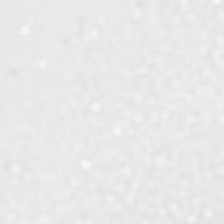Hematoxylin-and-eosin stained section.
Content: background (no tissue).
